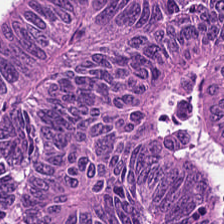Tissue type: colorectal adenocarcinoma.
